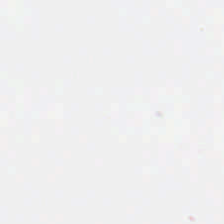H&E-stained tissue section. 0.5 microns per pixel.
Empty field — background.
